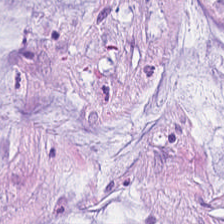Q: Identify the tissue.
A: This is extracellular mucin.
